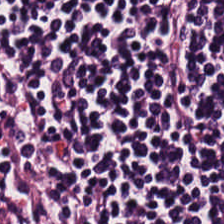Hematoxylin and eosin. Histology — lymphocyte aggregate.
